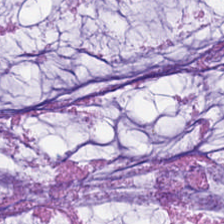The classification is mucus.
